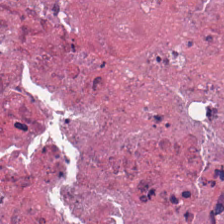Hematoxylin and eosin.
{"tissue_type": "necrotic debris"}
